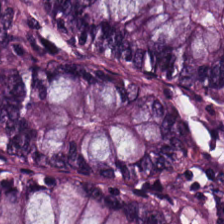H&E; FFPE tissue section. Q: What does this patch show?
A: It is benign colonic mucosa.
